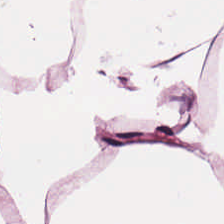20× equivalent magnification; FFPE; H&E. Showing fat tissue.
